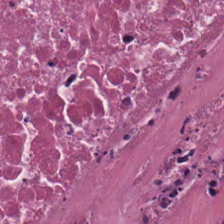Finding — debris.
